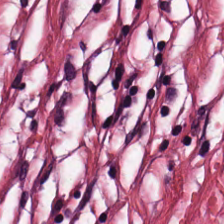224×224 pixel tile · formalin-fixed paraffin-embedded section · hematoxylin-and-eosin stained section — Showing tumor-associated stroma.
